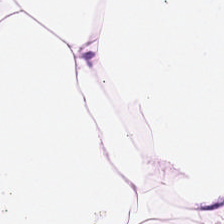H&E-stained tissue section. WSI patch. 224×224 px tile — Adipose tissue.
